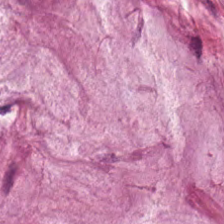The tissue here is mucin.
